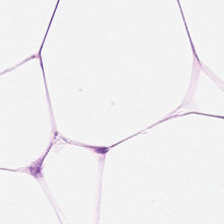Whole-slide-image patch. Formalin-fixed paraffin-embedded section. H&E.
Fat tissue.
